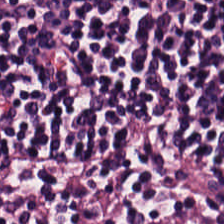Stain: H&E-stained tissue section.
Preparation: FFPE.
Predominant tissue: lymphocytic infiltrate.
